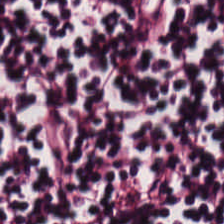Brightfield microscopy; H&E. This patch shows lymphoid infiltrate.
